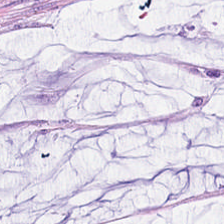H&E — mucus.
